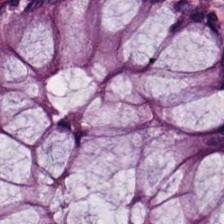Hematoxylin and eosin.
Classification = normal colonic mucosa.
